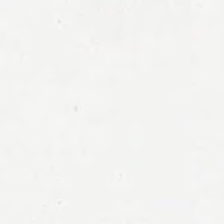0.5 µm/px · H&E stain. Content — background (no tissue).
